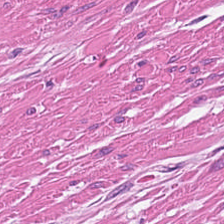Hematoxylin-and-eosin section: muscularis.
